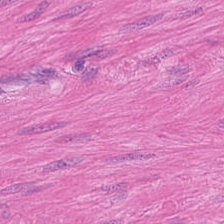Stain: hematoxylin and eosin.
Acquisition: WSI patch.
Preparation: FFPE tissue section.
Tissue: smooth-muscle tissue.
